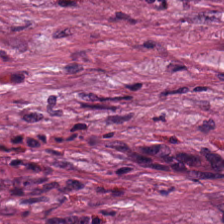H&E stain. This field is tumor stroma.
